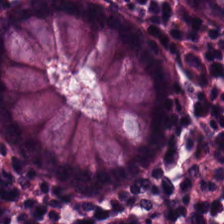H&E · 20× equivalent magnification · FFPE. The predominant tissue is normal colonic mucosa.
